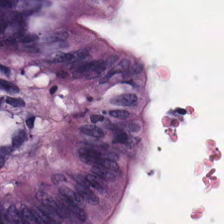Hematoxylin and eosin — Showing normal colonic mucosa.
